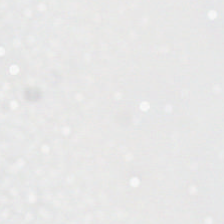224×224 px patch. Hematoxylin-and-eosin stained section. This patch shows background (no tissue).
